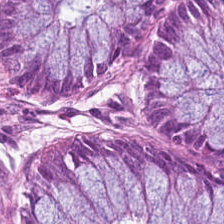Hematoxylin-and-eosin stained section — {"tissue_type": "benign colonic mucosa"}
